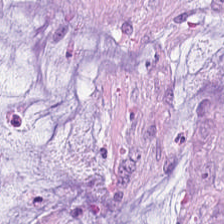WSI patch · hematoxylin-and-eosin stained section · FFPE — Histology — extracellular mucin.
